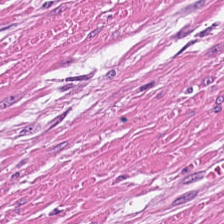0.5 microns per pixel; hematoxylin and eosin — Muscularis.
